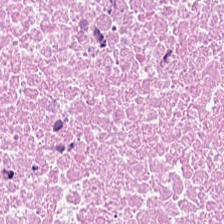H&E · FFPE tissue section.
Classification — cellular debris.
